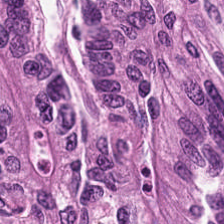H&E. Brightfield — This patch shows malignant epithelium.
